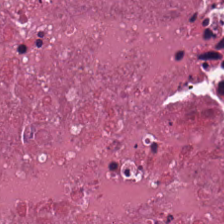Impression → necrotic debris.
